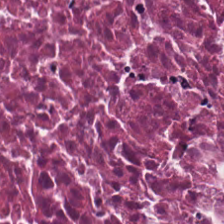FFPE; hematoxylin and eosin; brightfield microscopy. This field is debris.
